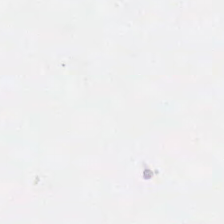H&E. Histology — no tissue.
